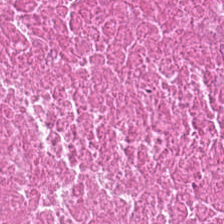Histology — cellular debris.
